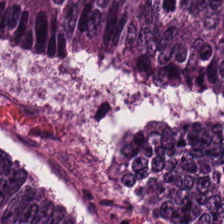Hematoxylin-and-eosin stained section.
Q: What tissue is shown?
A: It is tumor epithelium.
